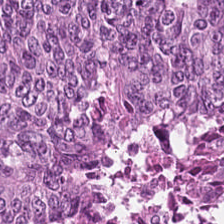H&E.
This field is tumor epithelium.
